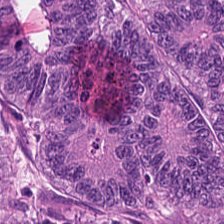20× equivalent magnification; FFPE; hematoxylin-and-eosin stained section — Classification: tumor epithelium.
